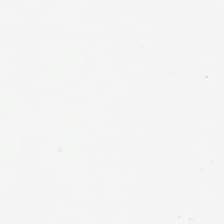Hematoxylin and eosin · 224×224 px tile · brightfield.
Histology → no tissue.
